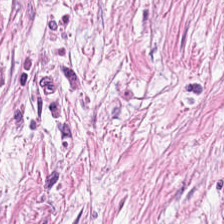Hematoxylin and eosin; formalin-fixed paraffin-embedded section.
Q: What does this patch show?
A: This is tumor stroma.
